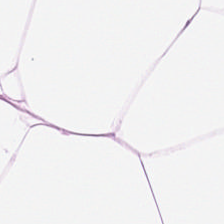Tissue class = adipose tissue.
